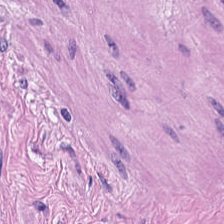Stain: hematoxylin-and-eosin stained section.
Classification: smooth-muscle tissue.
